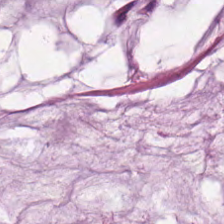Stain: hematoxylin-and-eosin stained section.
Tissue type: extracellular mucin.
